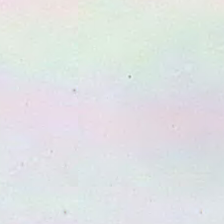Q: What does this patch show?
A: Background (no tissue).
